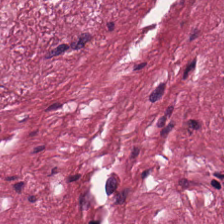20× equivalent magnification; H&E stain. The classification is desmoplastic stroma.
